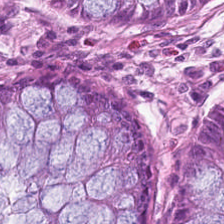Histology → normal colonic mucosa.
